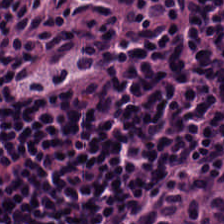Stain: hematoxylin-and-eosin stained section.
Acquisition: brightfield.
Resolution: 0.5 microns per pixel.
Tissue class: lymphocytic infiltrate.
